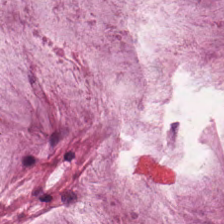Hematoxylin-and-eosin stained section.
Finding — extracellular mucin.
